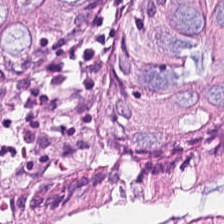H&E. The classification is non-neoplastic colon mucosa.
